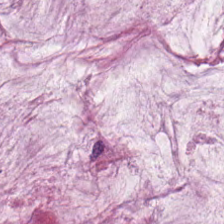This patch shows extracellular mucin.
